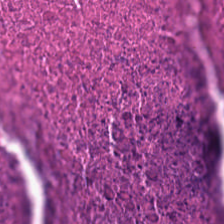Hematoxylin-and-eosin stained section. This field is necrotic debris.
